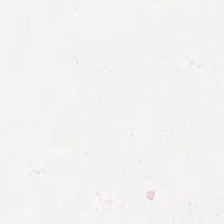Hematoxylin and eosin.
Background — no tissue in this field.
